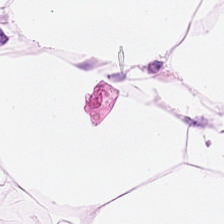H&E patch showing adipose.
